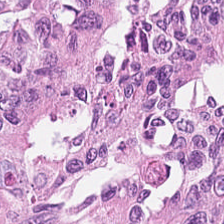Hematoxylin-and-eosin stained section. 20× equivalent magnification — This patch shows tumor epithelium.
